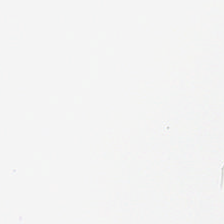H&E stain; FFPE.
Q: What does this patch show?
A: The field shows background (no tissue).
